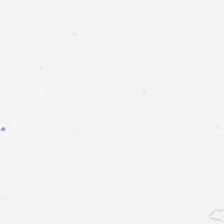Formalin-fixed paraffin-embedded section. H&E. 20× equivalent magnification.
Background — no tissue in this field.
